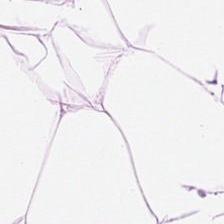Hematoxylin-and-eosin stained section — Tissue type: fat tissue.
